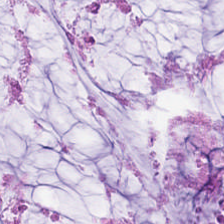H&E-stained tissue section.
{"tissue_type": "mucin"}
